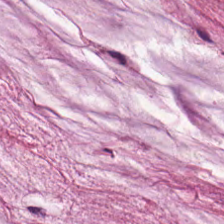H&E.
Tissue type = extracellular mucin.
